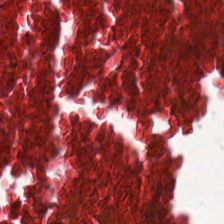H&E-stained tissue section showing cellular debris.
